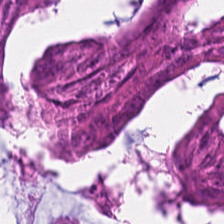Hematoxylin-and-eosin stained section. Q: What is shown in this field?
A: The field shows malignant epithelium.
